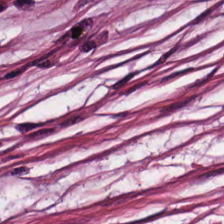Classification = desmoplastic stroma.
